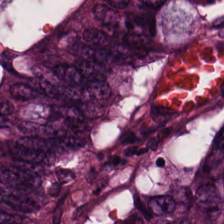Whole-slide-image patch. Hematoxylin and eosin — Q: What type of tissue is this?
A: Colorectal adenocarcinoma.
